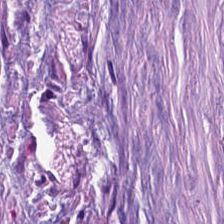Hematoxylin and eosin; FFPE; whole-slide-image patch.
Classification: cancer-associated stroma.
